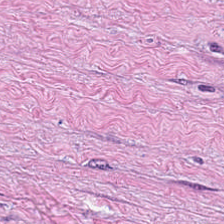H&E stain.
{"tissue_type": "desmoplastic stroma"}
